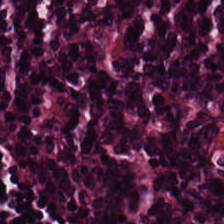0.5 µm per pixel; hematoxylin and eosin. Tissue class = lymphocytic infiltrate.
